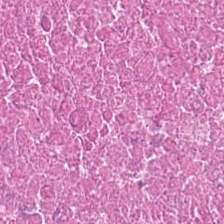Hematoxylin and eosin.
Showing cellular debris.
